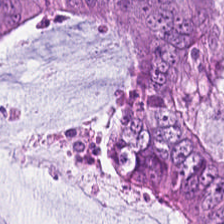Stain: hematoxylin and eosin.
Resolution: 20× equivalent magnification.
Acquisition: brightfield microscopy.
Classification: tumor epithelium.
